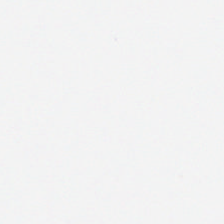224×224 pixel tile · 0.5 microns per pixel · H&E-stained tissue section — No tissue present; background only.
